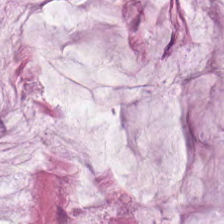Hematoxylin-and-eosin stained section.
Predominant tissue: mucin.
